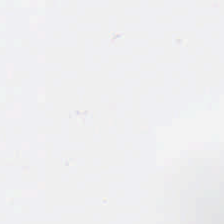H&E-stained tissue section · WSI patch · formalin-fixed paraffin-embedded section — No tissue present; background only.
